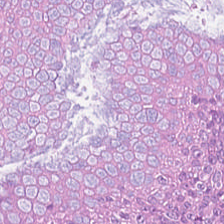H&E patch showing adenocarcinoma.
